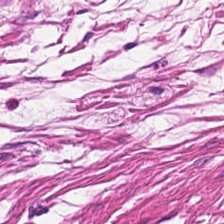Hematoxylin-and-eosin stained section.
Tissue class: muscularis.
